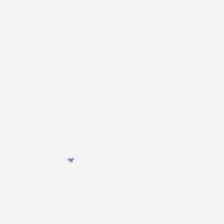Background — no tissue in this field.
